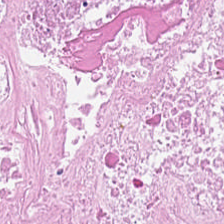H&E stain.
Tissue class: cellular debris.
